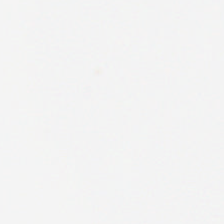Stain: H&E.
Acquisition: whole-slide-image patch.
Content: empty background.
